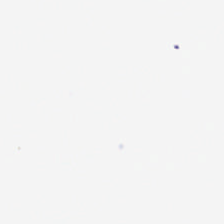Stain: H&E.
Tile size: 224×224 pixel tile.
Acquisition: whole-slide-image patch.
Field content: empty background.
